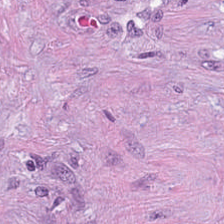{"tissue_type": "tumor stroma"}
